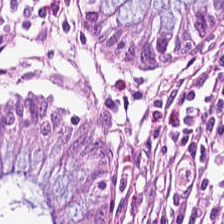H&E stain · 224×224 px patch · 0.5 microns per pixel.
Finding — normal colonic mucosa.
